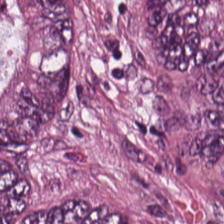H&E-stained tissue section · formalin-fixed paraffin-embedded section. Tissue class = adenocarcinoma.
